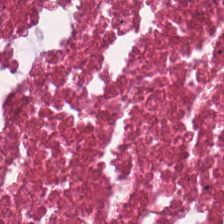Q: Identify the tissue.
A: This is debris.
